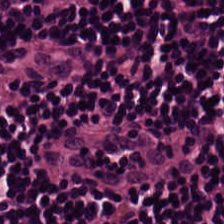H&E — Tissue class — lymphoid infiltrate.
